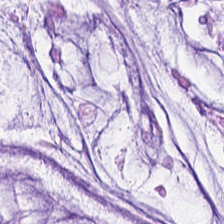Stain: hematoxylin-and-eosin stained section.
Acquisition: brightfield microscopy.
Tissue: mucin.
